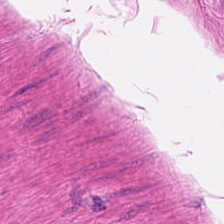Q: Classify this patch.
A: This is smooth muscle.
